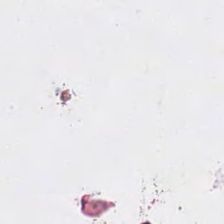H&E stain · 20× equivalent magnification. No tissue present; background only.
